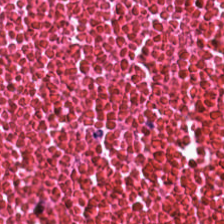Hematoxylin-and-eosin stained section.
Q: Classify this patch.
A: Debris.
